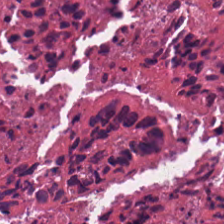Hematoxylin and eosin — Showing necrotic debris.
